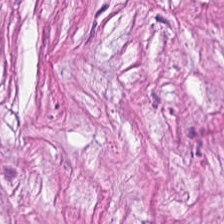Hematoxylin and eosin. Whole-slide-image patch. The tissue here is cancer-associated stroma.
